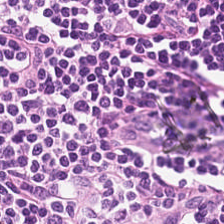Formalin-fixed paraffin-embedded section · brightfield microscopy · H&E stain. Tissue type = lymphocyte aggregate.
